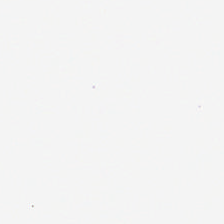Brightfield; H&E. Impression → background (no tissue).
